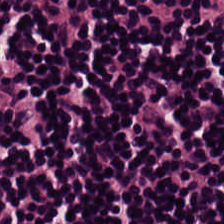{"tissue_type": "lymphocyte aggregate"}
